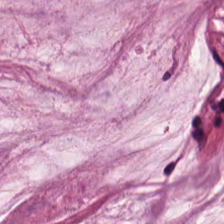H&E stain.
Tissue — mucus.
